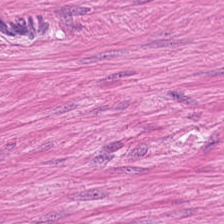Hematoxylin-and-eosin stained section. Histology — smooth-muscle tissue.
